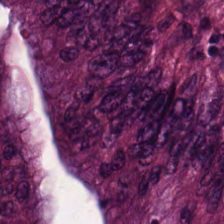Q: What does this patch show?
A: The field shows malignant epithelium.
